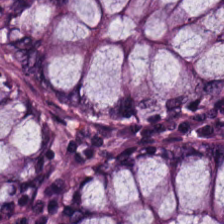FFPE tissue section. Hematoxylin-and-eosin stained section — Q: What tissue type is shown here?
A: Non-neoplastic colon mucosa.
